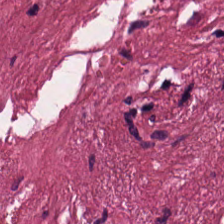H&E stain — Tissue: cancer-associated stroma.
